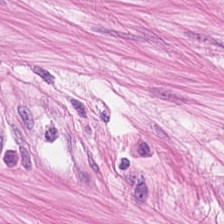Whole-slide-image patch · hematoxylin-and-eosin stained section — Showing smooth-muscle tissue.
